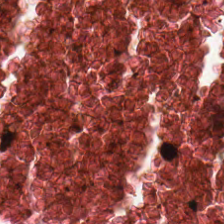Hematoxylin-and-eosin section: necrotic debris.
